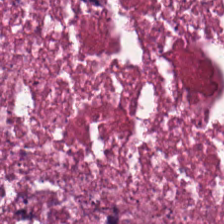H&E.
Q: What does this patch show?
A: This is necrotic debris.
